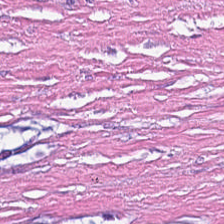H&E — Impression — cancer-associated stroma.
